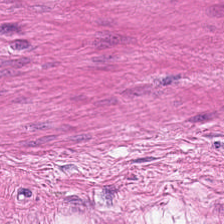Formalin-fixed paraffin-embedded section · 0.5 µm per pixel · H&E — Tissue type — smooth muscle.
